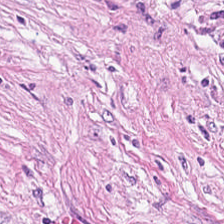Cancer-associated stroma.
